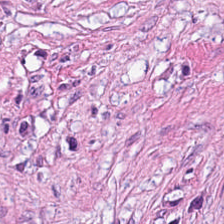H&E-stained tissue section — The tissue here is desmoplastic stroma.
